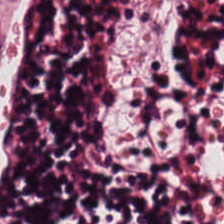Classification = lymphocytic infiltrate.
